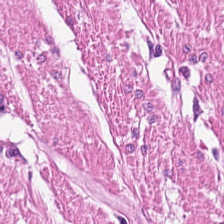Stain: hematoxylin and eosin.
Predominant tissue: muscularis.
